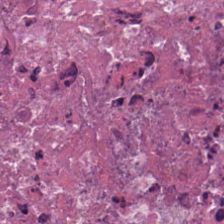Hematoxylin and eosin.
Q: What tissue type is shown here?
A: Cellular debris.
